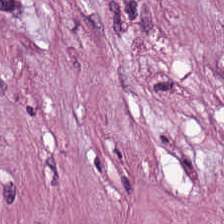Hematoxylin and eosin.
The tissue type is desmoplastic stroma.
